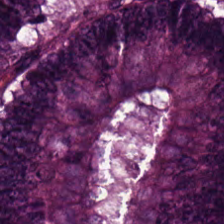224×224 px tile; brightfield microscopy; H&E — Tissue class — colorectal adenocarcinoma epithelium.
